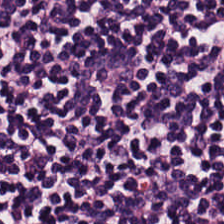Stain: hematoxylin and eosin.
Tile size: 224×224 px patch.
Tissue class: lymphocytic infiltrate.
